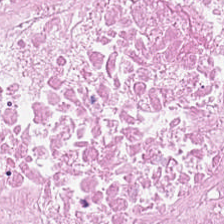Predominant tissue: necrotic debris.
